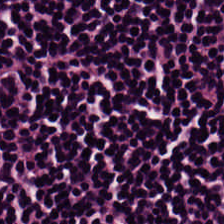Brightfield. H&E stain. This patch shows lymphocytes.
